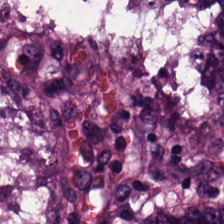H&E patch showing malignant epithelium.
